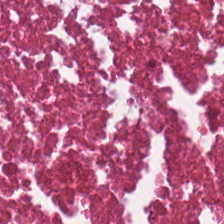FFPE tissue section · hematoxylin and eosin. This field is necrotic debris.
